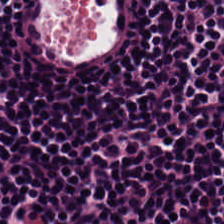H&E stain — Finding → lymphocytes.
